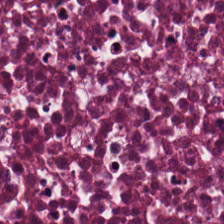Stain: hematoxylin and eosin.
Tissue type: necrotic debris.
